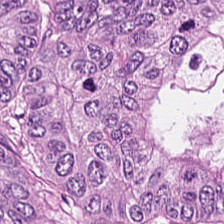Hematoxylin-and-eosin stained section · 224×224 px patch — The tissue is tumor epithelium.
